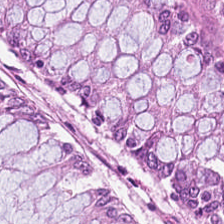Stain: H&E stain.
Tissue: non-neoplastic colon mucosa.
